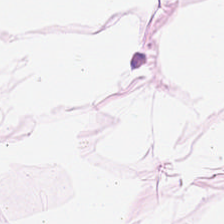Hematoxylin and eosin. Showing adipocytes.
